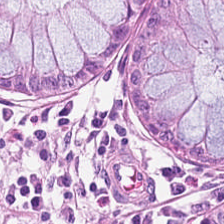Brightfield microscopy · H&E stain — Showing non-neoplastic colon mucosa.
